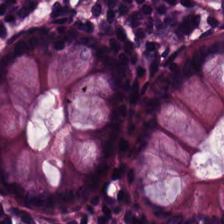FFPE tissue section. H&E-stained tissue section. 224×224 pixel tile.
Tissue — normal colonic mucosa.
